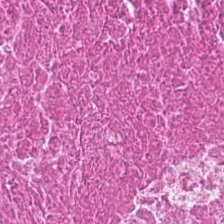Classification — cellular debris.
